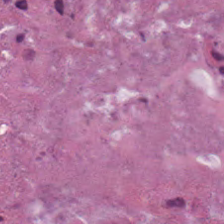H&E. 224×224 px tile.
This field is debris.
